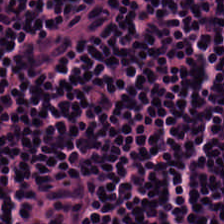0.5 µm/px; H&E.
{"tissue_type": "lymphocytes"}
